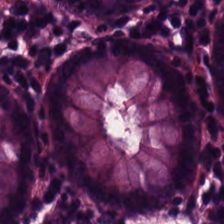H&E-stained tissue section — The tissue here is normal colon mucosa.
